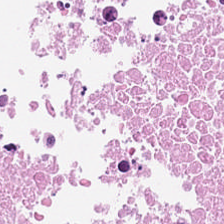This patch shows debris.
